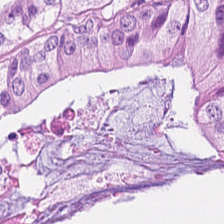FFPE tissue section; hematoxylin-and-eosin stained section. Histology → adenocarcinoma.
